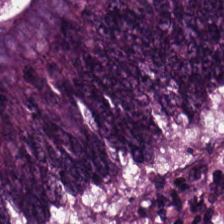The tissue here is colorectal adenocarcinoma epithelium.
